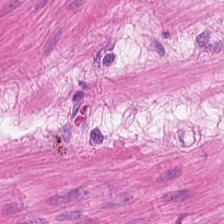0.5 µm per pixel · H&E-stained tissue section · 224×224 pixel tile. Tissue class — smooth muscle.
